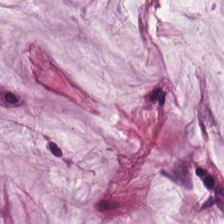224×224 px patch; H&E-stained tissue section; brightfield microscopy. Q: What type of tissue is this?
A: Mucin.
